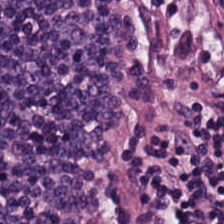Hematoxylin and eosin.
Predominantly lymphocyte aggregate.
